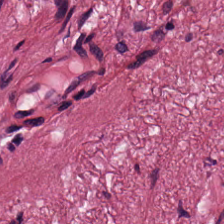Stain: hematoxylin-and-eosin stained section.
Classification: desmoplastic stroma.
